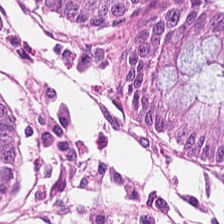Whole-slide-image patch. H&E-stained tissue section — The tissue here is normal colon mucosa.
